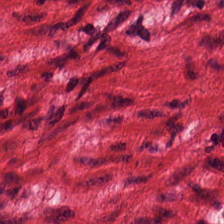H&E; whole-slide-image patch. {"tissue_type": "muscularis"}
